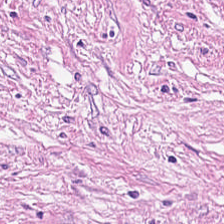H&E.
Q: What is the predominant tissue type?
A: This is tumor-associated stroma.
